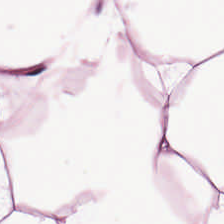FFPE tissue section · H&E-stained tissue section · 224×224 px patch.
The predominant tissue is adipocytes.
